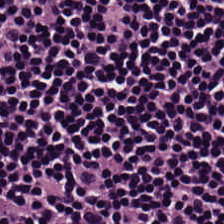Q: Classify this patch.
A: The field shows lymphocytic infiltrate.
